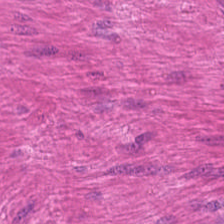Stain: H&E stain.
Predominant tissue: smooth-muscle tissue.
